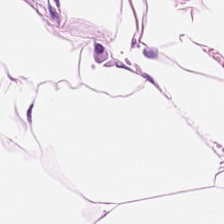Hematoxylin and eosin.
Classification = adipose.
